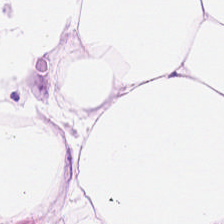Whole-slide-image patch · hematoxylin and eosin · 0.5 µm per pixel.
Q: What is the predominant tissue type?
A: The field shows adipose tissue.
